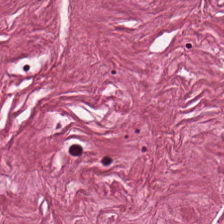Hematoxylin and eosin. 224×224 px tile — Finding → tumor stroma.
